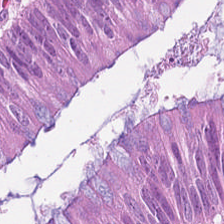Stain: H&E stain.
Classification: adenocarcinoma.
